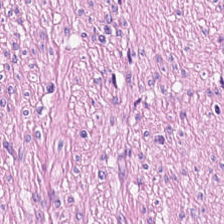Hematoxylin-and-eosin section: muscularis.
